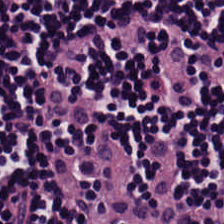Hematoxylin and eosin — Q: Classify this patch.
A: The field shows lymphocyte aggregate.
